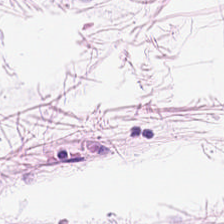Stain: H&E.
Tissue: fat tissue.
